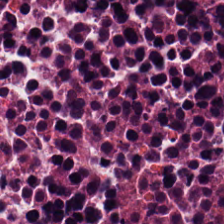Hematoxylin and eosin.
Showing debris.
